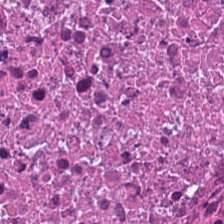FFPE tissue section. H&E stain. Brightfield — Histology — debris.
